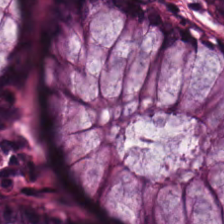Hematoxylin and eosin. The predominant tissue is normal colonic mucosa.
